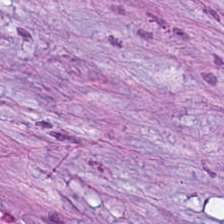Formalin-fixed paraffin-embedded section. Hematoxylin-and-eosin stained section. 0.5 µm/px — Predominantly tumor stroma.
